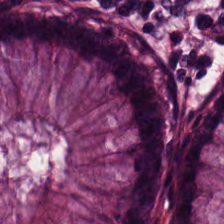H&E-stained tissue section. Showing benign colonic mucosa.
